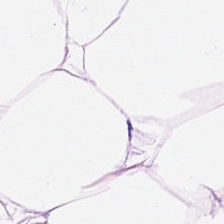Stain: H&E stain.
Tile size: 224×224 px tile.
Preparation: FFPE tissue section.
Tissue: adipocytes.
